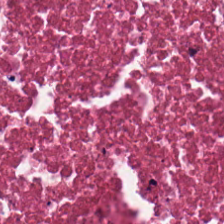H&E.
This field is necrotic debris.
